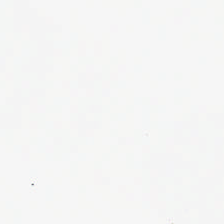Background — no tissue in this field.
